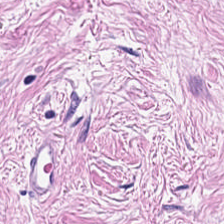Showing tumor stroma.
